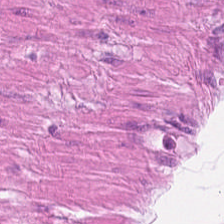H&E. Whole-slide-image patch — {"tissue_type": "smooth-muscle tissue"}
